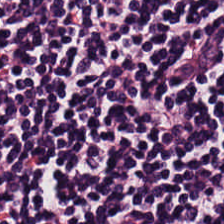Hematoxylin and eosin. Brightfield. 0.5 µm per pixel.
Lymphoid infiltrate.
